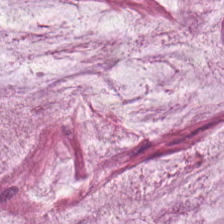Hematoxylin and eosin — The predominant tissue is mucus.
